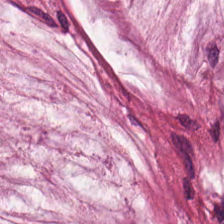Hematoxylin-and-eosin section: mucin.
